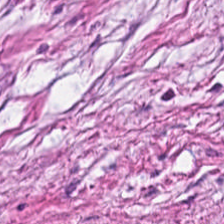Hematoxylin-and-eosin stained section — Q: What tissue type is shown here?
A: This is tumor-associated stroma.
